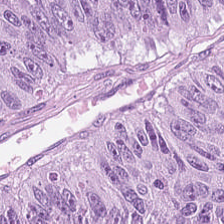Colorectal adenocarcinoma epithelium.
